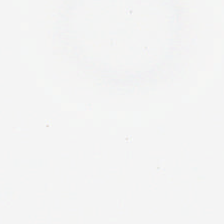Hematoxylin and eosin · 224×224 pixel tile — This patch shows background (no tissue).
